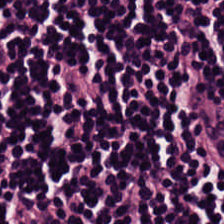Hematoxylin-and-eosin stained section · 0.5 µm/px. Finding — lymphocyte aggregate.
